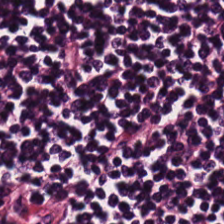Tissue — lymphocytes.
